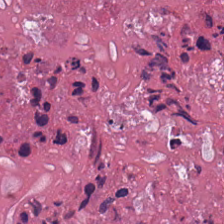Hematoxylin-and-eosin stained section. 224×224 px tile. Debris.
